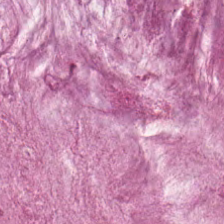H&E. FFPE — Impression — mucus.
